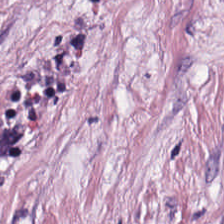Q: What type of tissue is this?
A: Tumor stroma.
